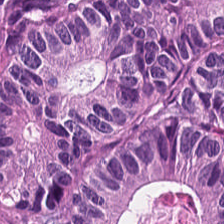H&E-stained tissue section. WSI patch. 224×224 px tile.
The tissue type is malignant epithelium.
